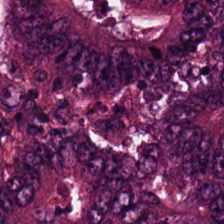Hematoxylin and eosin — Q: What is shown in this field?
A: Malignant epithelium.
